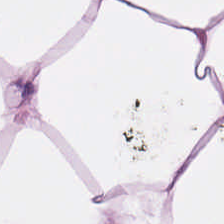Hematoxylin-and-eosin stained section — {"tissue_type": "adipocytes"}
